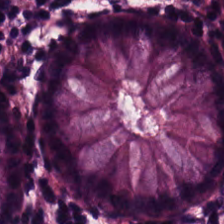H&E-stained tissue section. Finding — normal colonic mucosa.
